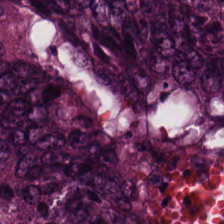Classification = tumor epithelium.
